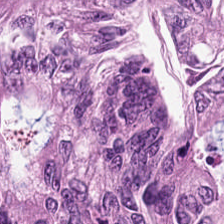H&E stain.
The tissue is colorectal adenocarcinoma epithelium.
